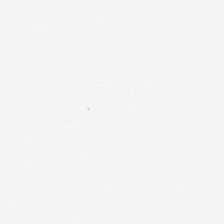Hematoxylin-and-eosin stained section · WSI patch. Finding — background.
